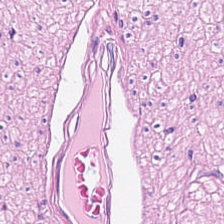H&E stain.
The predominant tissue is muscularis.
